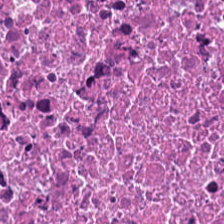Hematoxylin-and-eosin stained section; FFPE; whole-slide-image patch — Classification: cellular debris.
